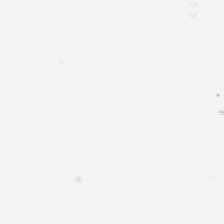Hematoxylin and eosin. Brightfield. 224×224 px tile.
This field is background (no tissue).
